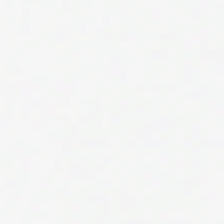H&E · whole-slide-image patch. This patch shows background.
